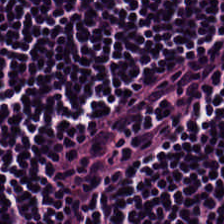224×224 pixel tile · H&E.
The predominant tissue is lymphocytic infiltrate.
